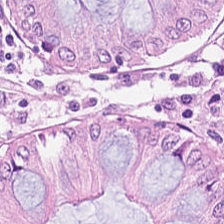Stain: hematoxylin-and-eosin stained section.
Tissue: non-neoplastic colon mucosa.
